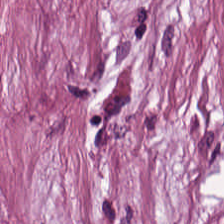H&E — Classification — cancer-associated stroma.
